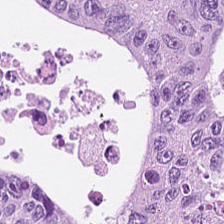Stain: hematoxylin-and-eosin stained section.
Acquisition: brightfield.
Tissue type: colorectal adenocarcinoma.
